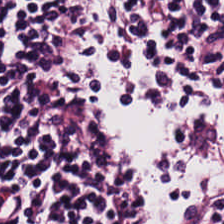Stain: H&E.
Classification: lymphocytes.
